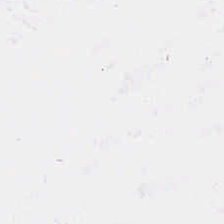{"content": "empty background"}
